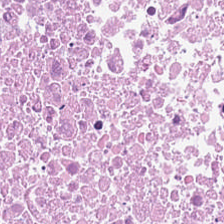This patch shows cellular debris.
